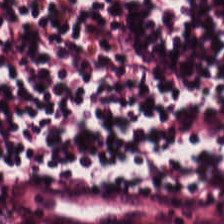Classification: lymphocyte aggregate.
